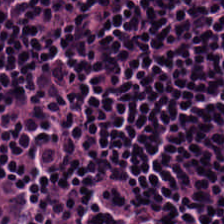H&E stain — This patch shows lymphocyte aggregate.
